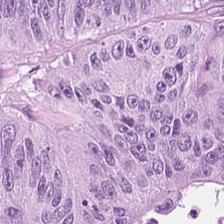Formalin-fixed paraffin-embedded section · H&E stain. Classification: malignant epithelium.
